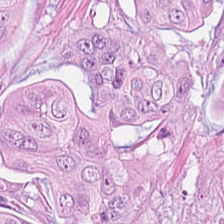0.5 microns per pixel; 224×224 pixel tile; hematoxylin-and-eosin stained section. Q: What tissue type is shown here?
A: It is malignant epithelium.
